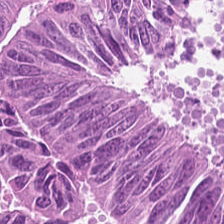Hematoxylin and eosin. The predominant tissue is tumor epithelium.
